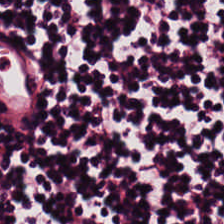H&E stain.
Tissue type — lymphocyte aggregate.
